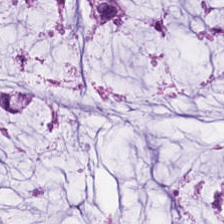0.5 µm per pixel. Hematoxylin and eosin. FFPE.
{"tissue_type": "mucin"}
